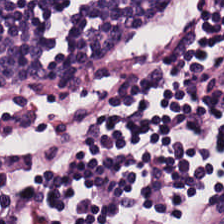Hematoxylin-and-eosin stained section; 224×224 pixel tile — This patch shows lymphocyte aggregate.
